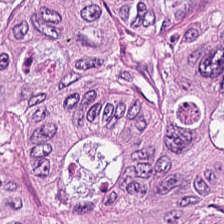0.5 microns per pixel. H&E. Brightfield microscopy. Tissue type: adenocarcinoma.
